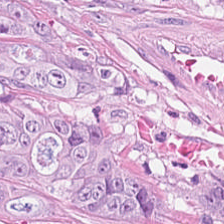The tissue here is tumor epithelium.
